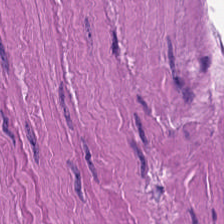Hematoxylin and eosin. Histology → smooth-muscle tissue.
